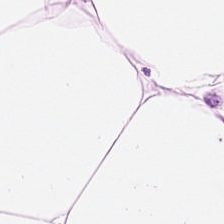H&E stain.
This field is adipose.
